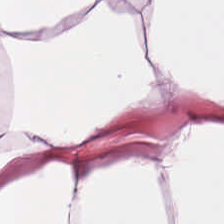Hematoxylin-and-eosin section: adipose.
